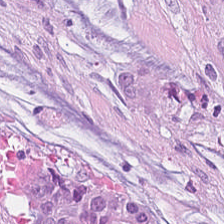Tissue — mucus.
